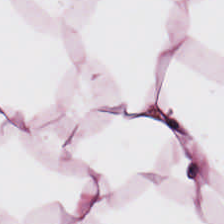0.5 µm per pixel · hematoxylin-and-eosin stained section.
Predominantly fat tissue.
